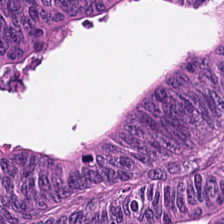Hematoxylin and eosin — The predominant tissue is colorectal adenocarcinoma.
